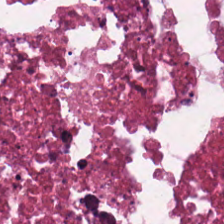Formalin-fixed paraffin-embedded section · hematoxylin and eosin. The tissue here is debris.
